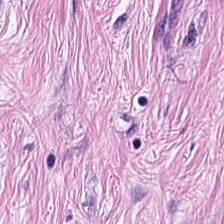Q: What type of tissue is this?
A: It is desmoplastic stroma.
